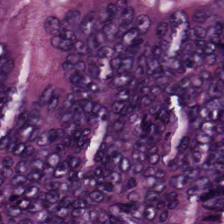H&E-stained tissue section.
The tissue here is malignant epithelium.
